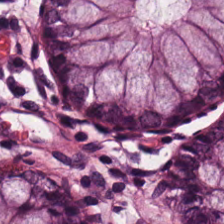224×224 pixel tile · hematoxylin and eosin · formalin-fixed paraffin-embedded section. Benign colonic mucosa.
